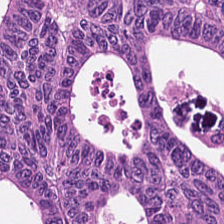H&E. Tumor epithelium.
